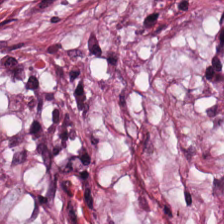H&E-stained tissue section. This patch shows cancer-associated stroma.
